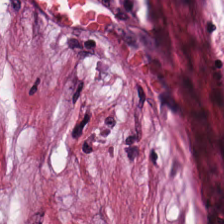Stain: hematoxylin and eosin.
Tissue: cancer-associated stroma.
